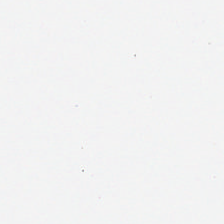Finding — background (no tissue).
